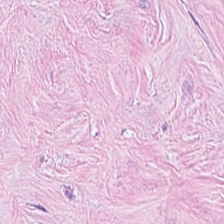224×224 pixel tile. Hematoxylin and eosin — Desmoplastic stroma.
